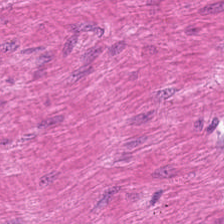The tissue is muscularis.
